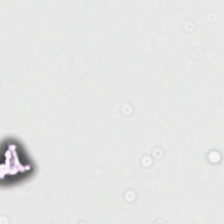H&E-stained tissue section · FFPE tissue section — Content = background.
